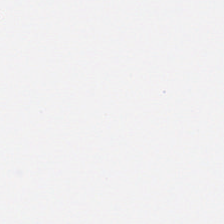0.5 microns per pixel · H&E-stained tissue section · formalin-fixed paraffin-embedded section — The content is background.
